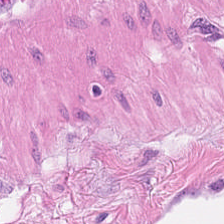H&E-stained tissue section. The predominant tissue is muscularis.
